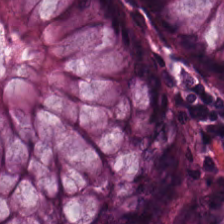0.5 µm per pixel. Brightfield. H&E-stained tissue section — Tissue class — non-neoplastic colon mucosa.
